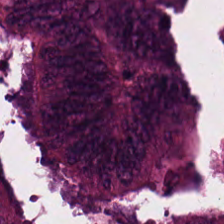Finding — colorectal adenocarcinoma epithelium.
